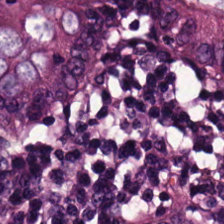Hematoxylin and eosin.
Histology — normal colonic mucosa.
